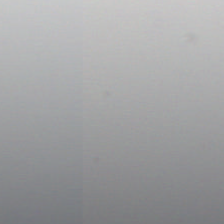No tissue present; background only.
